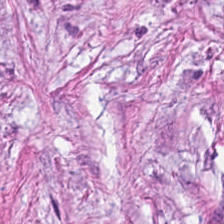Predominant tissue = tumor-associated stroma.
